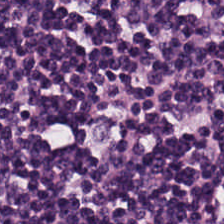Hematoxylin-and-eosin stained section; whole-slide-image patch; 224×224 px tile. The predominant tissue is lymphocyte aggregate.
